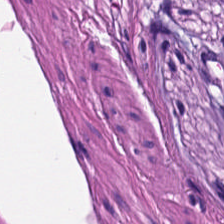20× equivalent magnification · H&E-stained tissue section · 224×224 px patch. The tissue class is smooth-muscle tissue.
